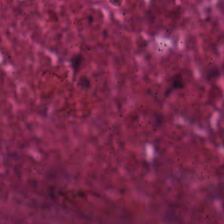H&E-stained tissue section showing necrotic debris.
